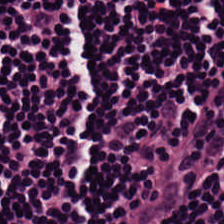Hematoxylin and eosin — Tissue = lymphocyte aggregate.
